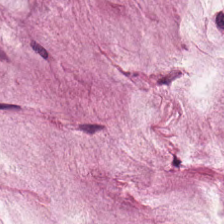H&E stain — Impression → mucus.
